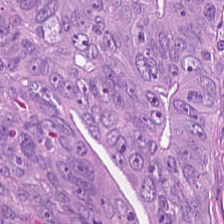Hematoxylin-and-eosin section: tumor epithelium.
